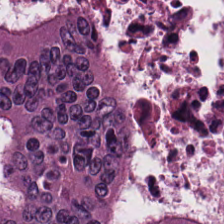Q: What is the predominant tissue type?
A: It is colorectal adenocarcinoma.
